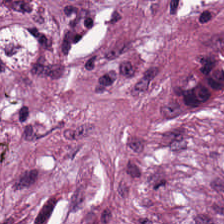Stain: hematoxylin and eosin.
Classification: tumor stroma.
